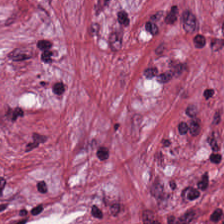Tissue class — cancer-associated stroma.
